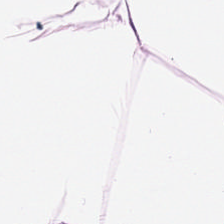0.5 µm/px · formalin-fixed paraffin-embedded section · hematoxylin and eosin. Tissue class = adipose tissue.
